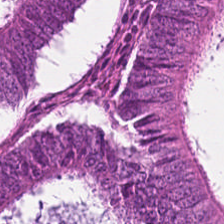H&E stain. FFPE tissue section. 224×224 pixel tile.
The predominant tissue is tumor epithelium.
